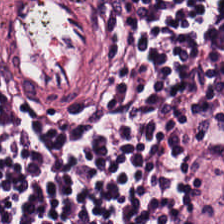H&E · brightfield. Finding → lymphocytic infiltrate.
